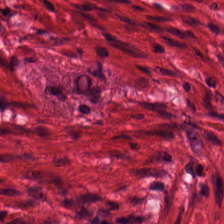FFPE tissue section · hematoxylin-and-eosin stained section. Finding — muscularis.
